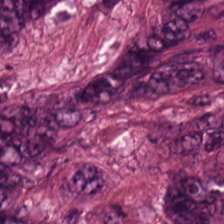H&E-stained tissue section · brightfield.
Classification: mucus.
